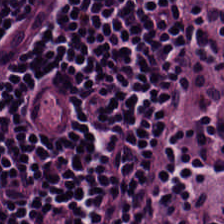H&E.
Q: What tissue type is shown here?
A: The field shows lymphocytic infiltrate.
